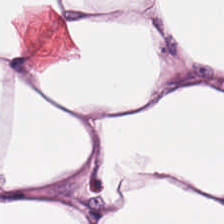FFPE · hematoxylin and eosin.
This field is adipose tissue.
